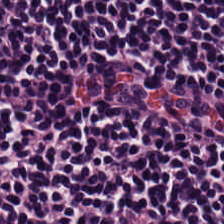Impression → lymphoid infiltrate.
